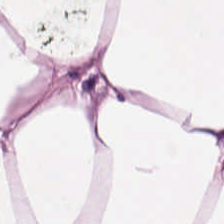H&E-stained tissue section — Adipocytes.
